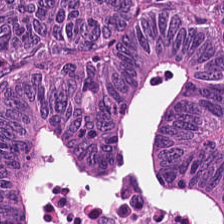H&E-stained tissue section. {"tissue_type": "malignant epithelium"}
